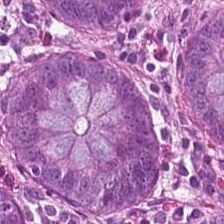H&E stain. FFPE tissue section. 0.5 µm per pixel.
Impression → benign colonic mucosa.
